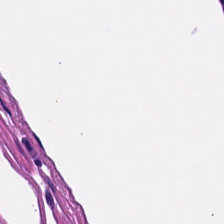H&E — Muscularis.
